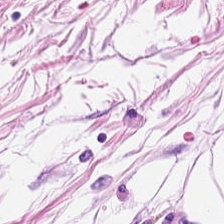H&E stain. 20× equivalent magnification.
The tissue here is adipocytes.
